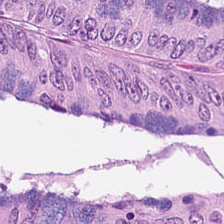H&E patch showing adenocarcinoma.
